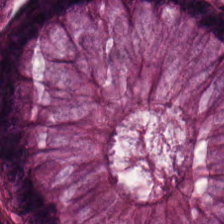224×224 px patch; 0.5 µm/px; H&E. Predominantly non-neoplastic colon mucosa.
